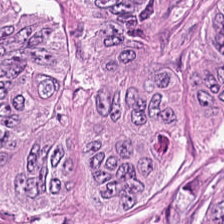H&E-stained tissue section.
Q: What type of tissue is this?
A: It is colorectal adenocarcinoma.
